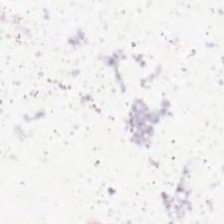H&E stain. 224×224 pixel tile. 0.5 microns per pixel. Q: What does this patch show?
A: Background.
